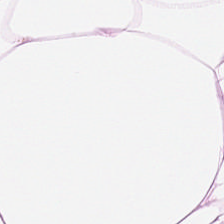Whole-slide-image patch. FFPE. H&E — This patch shows adipocytes.
